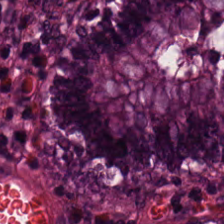Tissue class: normal colonic mucosa.
